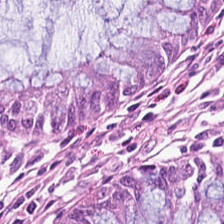Non-neoplastic colon mucosa.
